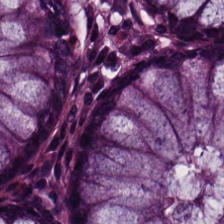Classification = benign colonic mucosa.
